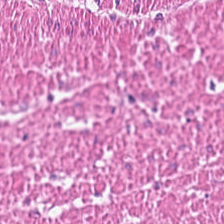Formalin-fixed paraffin-embedded section · hematoxylin and eosin. The tissue is smooth muscle.
